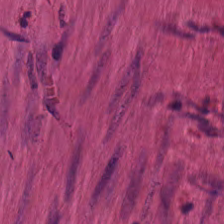Hematoxylin-and-eosin section: smooth-muscle tissue.
